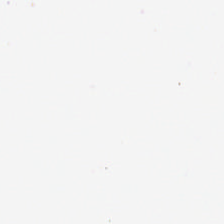20× equivalent magnification. H&E-stained tissue section. This patch shows background.
